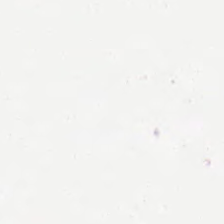FFPE. Hematoxylin and eosin.
Finding — empty background.
